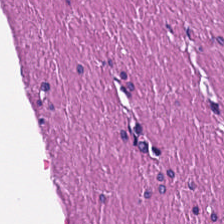Q: What is shown here?
A: The field shows smooth-muscle tissue.
